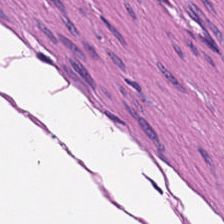Hematoxylin-and-eosin stained section.
Q: What tissue is shown?
A: The field shows muscularis.
